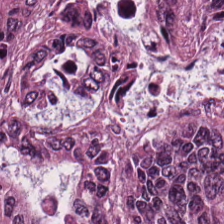Predominantly malignant epithelium.
